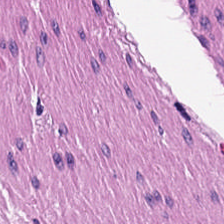Hematoxylin-and-eosin stained section — Tissue class = smooth-muscle tissue.
